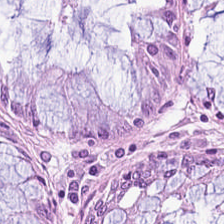Hematoxylin and eosin. Q: What is shown here?
A: The field shows normal colon mucosa.
